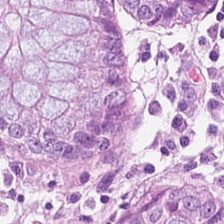Stain: hematoxylin and eosin.
Classification: normal colonic mucosa.
